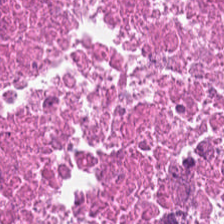H&E-stained tissue section; 0.5 microns per pixel; 224×224 pixel tile.
This patch shows cellular debris.
